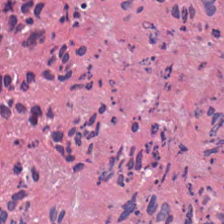Q: Identify the tissue.
A: It is cellular debris.
